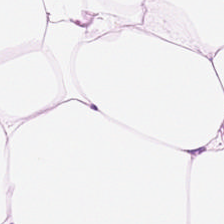Hematoxylin and eosin · 224×224 px patch. Tissue = adipose.
